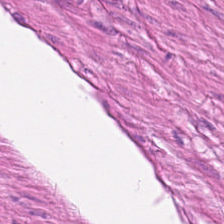Whole-slide-image patch · H&E · 0.5 µm per pixel. This field is smooth muscle.
